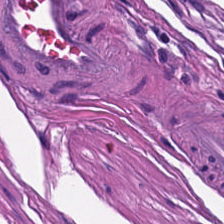0.5 µm per pixel. H&E. FFPE — The predominant tissue is muscularis.
